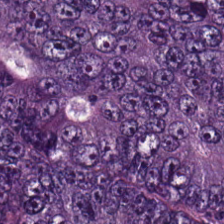Stain: H&E.
Tile size: 224×224 pixel tile.
Predominant tissue: colorectal adenocarcinoma epithelium.
